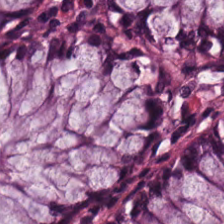Hematoxylin and eosin · FFPE.
This field is non-neoplastic colon mucosa.
